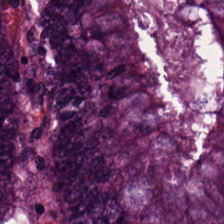20× equivalent magnification. 224×224 px tile. Hematoxylin-and-eosin stained section — Q: What tissue is shown?
A: It is colorectal adenocarcinoma epithelium.
